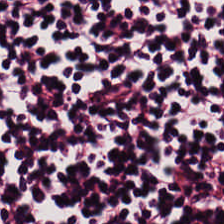224×224 px tile. Hematoxylin-and-eosin stained section.
This patch shows lymphocytic infiltrate.
